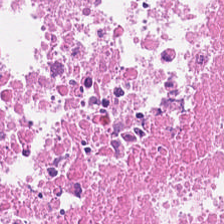Hematoxylin-and-eosin stained section.
This field is debris.
